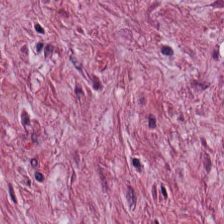Q: Identify the tissue.
A: Cancer-associated stroma.
